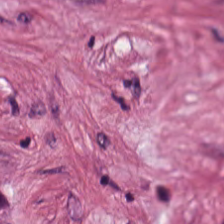Formalin-fixed paraffin-embedded section. H&E stain.
Tissue class = tumor stroma.
